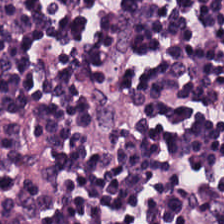H&E-stained tissue section; 0.5 µm per pixel — The predominant tissue is lymphocytes.
